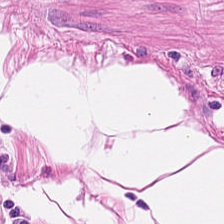224×224 pixel tile · hematoxylin and eosin — Q: What type of tissue is this?
A: This is smooth muscle.
